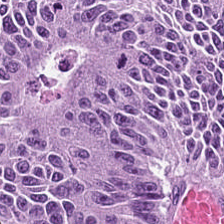H&E stain.
Classification = colorectal adenocarcinoma.
